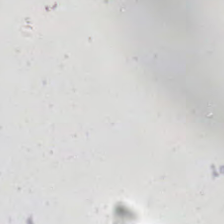H&E stain.
Classification: background (no tissue).
